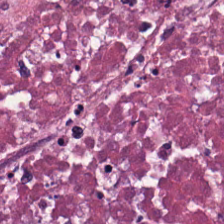Hematoxylin-and-eosin stained section. Q: Identify the tissue.
A: Cellular debris.
